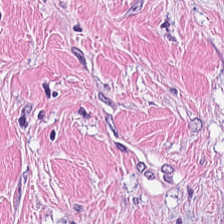H&E stain. Tissue type = tumor stroma.
